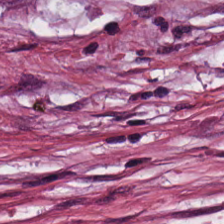H&E-stained tissue section — Predominantly desmoplastic stroma.
